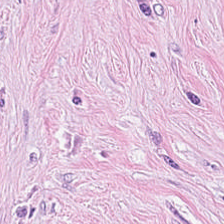H&E.
Predominant tissue: cancer-associated stroma.
